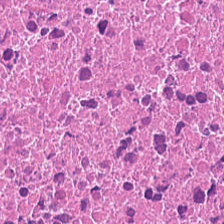H&E stain. Predominant tissue: cellular debris.
